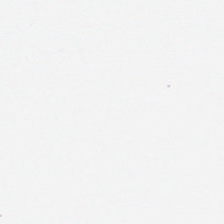Hematoxylin and eosin. Background — no tissue in this field.
